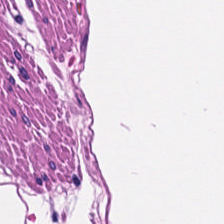H&E-stained tissue section — Tissue: muscularis.
